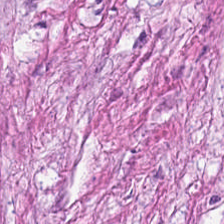0.5 µm per pixel · hematoxylin and eosin — Q: What does this patch show?
A: The field shows cancer-associated stroma.
